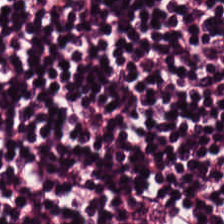{"tissue_type": "lymphoid infiltrate"}
